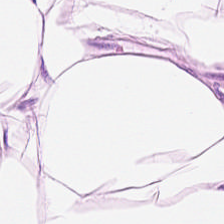Stain: H&E.
Predominant tissue: fat tissue.
